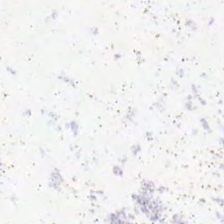WSI patch; 224×224 pixel tile; H&E stain — Q: What is shown in this field?
A: It is empty background.
